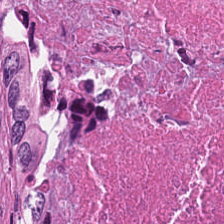Hematoxylin-and-eosin stained section.
Q: What type of tissue is this?
A: It is cellular debris.
